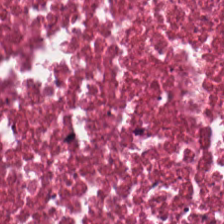20× equivalent magnification; H&E — Tissue class: cellular debris.
